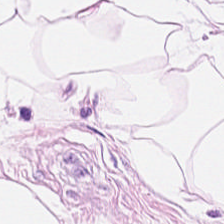Q: Identify the tissue.
A: This is adipocytes.
